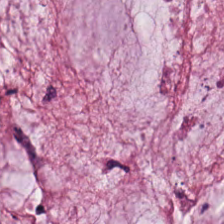H&E stain · FFPE. Q: Classify this patch.
A: The field shows extracellular mucin.
